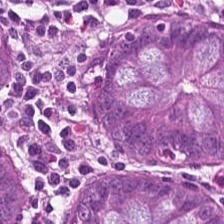Stain: hematoxylin-and-eosin stained section.
Tile size: 224×224 px patch.
Preparation: FFPE.
Tissue type: normal colonic mucosa.
